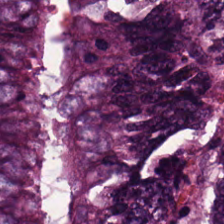Finding → colorectal adenocarcinoma epithelium.
